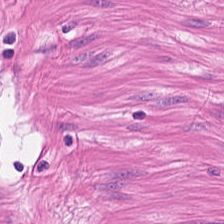Brightfield microscopy · hematoxylin and eosin.
This field is smooth-muscle tissue.
